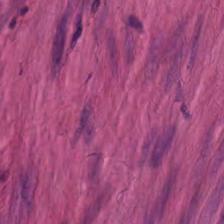H&E; formalin-fixed paraffin-embedded section — This patch shows smooth-muscle tissue.
